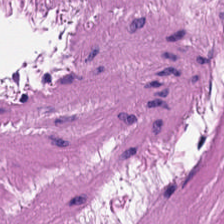Hematoxylin and eosin. 224×224 pixel tile.
The tissue type is smooth muscle.
